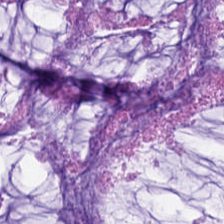H&E stain; 224×224 px patch. Q: What is the predominant tissue type?
A: It is extracellular mucin.
